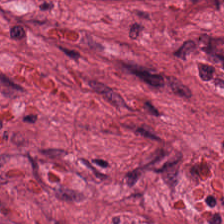Stain: H&E stain.
Tissue type: tumor-associated stroma.
